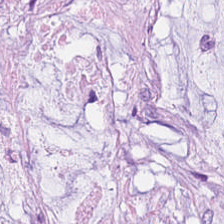Hematoxylin-and-eosin stained section. FFPE tissue section — Predominantly extracellular mucin.
